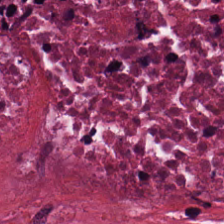H&E-stained tissue section — Tissue type: debris.
